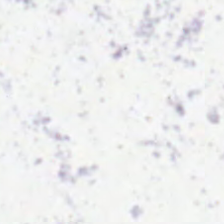224×224 px patch. H&E. WSI patch — Field content = empty background.
